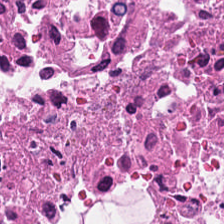Finding — cellular debris.
